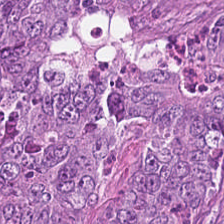Hematoxylin-and-eosin stained section · 224×224 pixel tile · whole-slide-image patch. The predominant tissue is colorectal adenocarcinoma epithelium.
